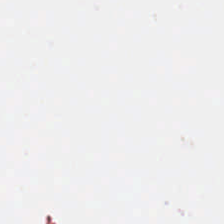224×224 px patch · hematoxylin and eosin — No tissue present; background only.
